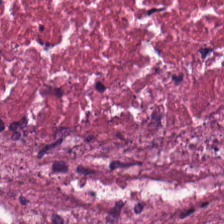H&E.
{"tissue_type": "necrotic debris"}
